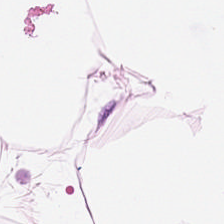Hematoxylin and eosin; 224×224 px patch. Tissue type — adipose tissue.
